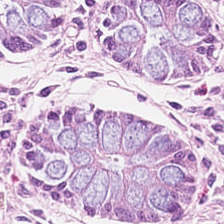Hematoxylin-and-eosin stained section; FFPE tissue section; 224×224 pixel tile. Normal colon mucosa.
